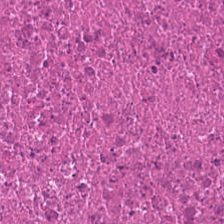Hematoxylin and eosin. Q: What type of tissue is this?
A: This is necrotic debris.
